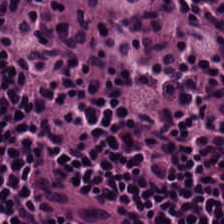H&E. Lymphocytes.
